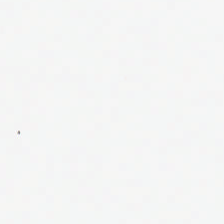H&E stain — No tissue.
